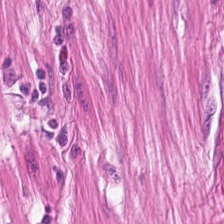The tissue here is smooth muscle.
